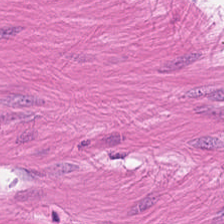Stain: hematoxylin and eosin.
Tissue: smooth muscle.
